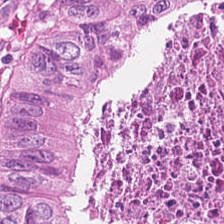Hematoxylin and eosin — This patch shows colorectal adenocarcinoma epithelium.
